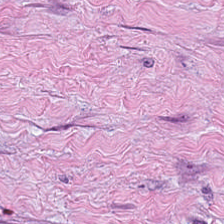H&E stain · brightfield — This patch shows desmoplastic stroma.
